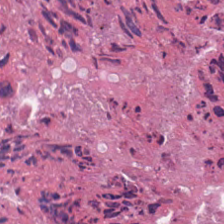H&E stain.
Predominantly necrotic debris.
